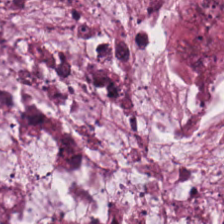Stain: H&E-stained tissue section.
Classification: mucus.
